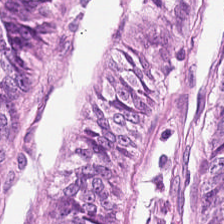Predominantly normal colon mucosa.
